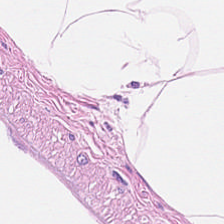The predominant tissue is adipose.
